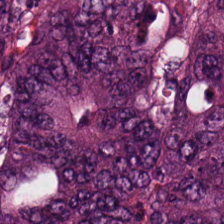H&E-stained tissue section. Formalin-fixed paraffin-embedded section.
This field is colorectal adenocarcinoma.
